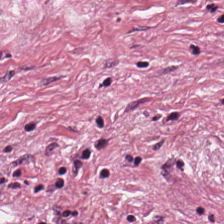Impression — tumor stroma.
